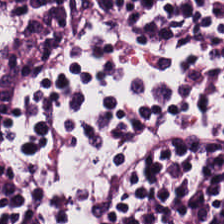Hematoxylin and eosin. 224×224 px patch. Tissue class — lymphoid infiltrate.
